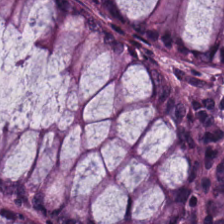Classification: benign colonic mucosa.
